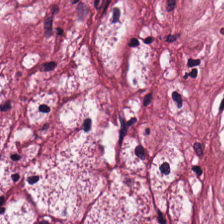224×224 px patch · brightfield · hematoxylin-and-eosin stained section.
Tumor-associated stroma.
